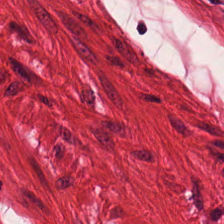H&E stain — Smooth muscle.
